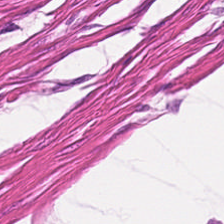H&E-stained tissue section. Predominantly smooth-muscle tissue.
